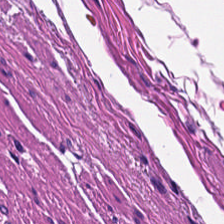20× equivalent magnification. H&E. Q: Identify the tissue.
A: This is smooth muscle.
